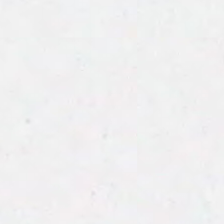H&E-stained tissue section — Background — no tissue in this field.
